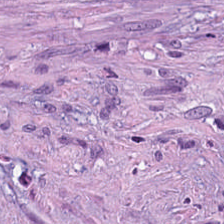Hematoxylin and eosin — Predominantly cancer-associated stroma.
